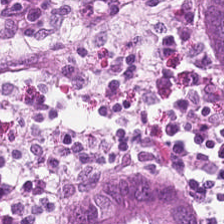Stain: hematoxylin and eosin.
Acquisition: whole-slide-image patch.
Tile size: 224×224 px tile.
Tissue: normal colon mucosa.
